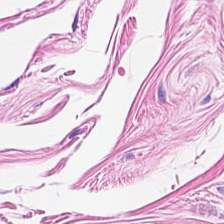Hematoxylin and eosin.
Tissue = muscularis.
